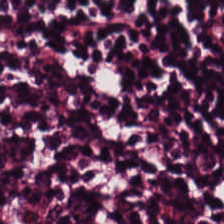Brightfield · H&E-stained tissue section · FFPE — Finding → lymphocyte aggregate.
